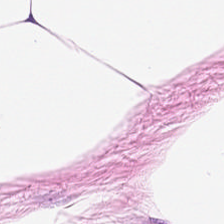H&E stain — Q: What tissue type is shown here?
A: This is adipocytes.
